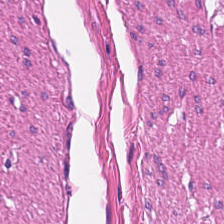Stain: H&E.
Classification: smooth muscle.
